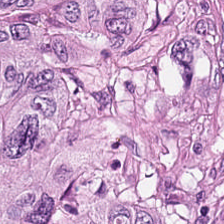Hematoxylin-and-eosin stained section; 20× equivalent magnification. {"tissue_type": "adenocarcinoma"}
